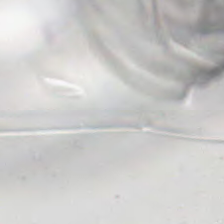Stain: H&E.
Tile size: 224×224 pixel tile.
Content: background.
